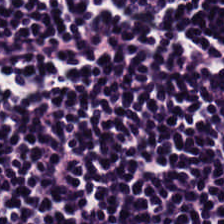0.5 µm per pixel · hematoxylin and eosin. Predominant tissue: lymphoid infiltrate.
